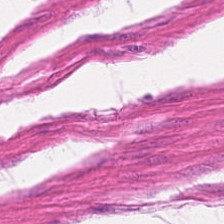Formalin-fixed paraffin-embedded section; H&E stain — Histology — muscularis.
